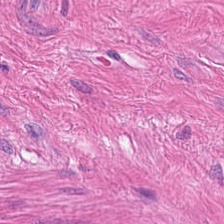224×224 pixel tile. Hematoxylin and eosin.
Showing smooth muscle.
